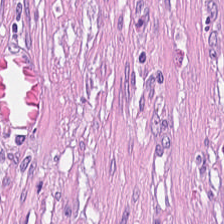Stain: H&E-stained tissue section.
Preparation: FFPE.
Tissue: tumor stroma.
